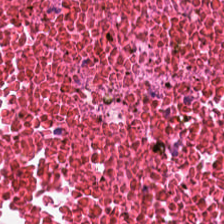Predominant tissue — cellular debris.
